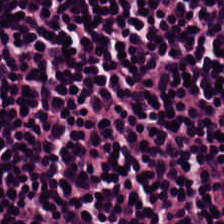0.5 µm/px; hematoxylin and eosin.
This field is lymphocyte aggregate.
